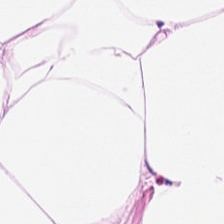H&E stain; 20× equivalent magnification. The tissue type is adipose tissue.
